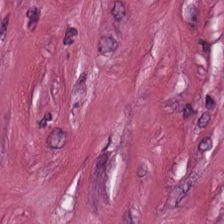Hematoxylin-and-eosin stained section. Q: What tissue is shown?
A: The field shows tumor stroma.
